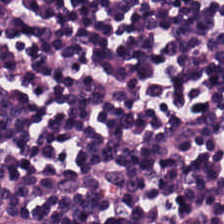Hematoxylin-and-eosin stained section — Q: What does this patch show?
A: It is lymphocyte aggregate.
